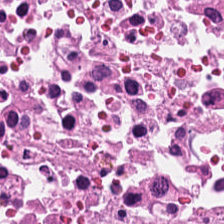224×224 px patch; hematoxylin-and-eosin stained section — The tissue here is cellular debris.
